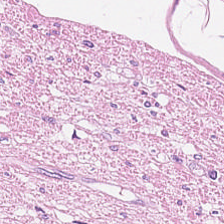This patch shows smooth muscle.
